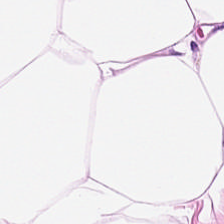H&E-stained tissue section · 20× equivalent magnification.
The predominant tissue is adipose.
